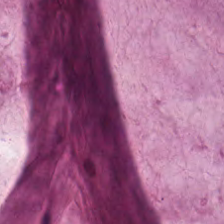The classification is mucin.
